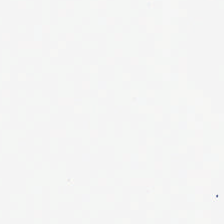Hematoxylin and eosin. 0.5 µm/px. Brightfield — Empty field — empty background.
